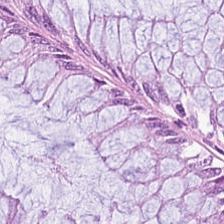H&E-stained tissue section showing non-neoplastic colon mucosa.
